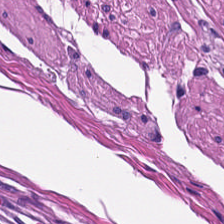H&E-stained tissue section. {"tissue_type": "smooth muscle"}
